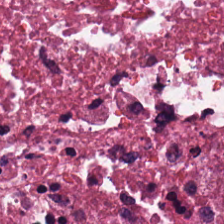Hematoxylin-and-eosin stained section. Debris.
